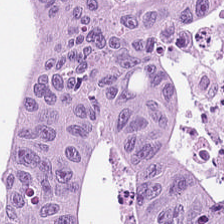Showing colorectal adenocarcinoma epithelium.
